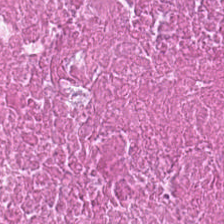H&E-stained tissue section — Q: Classify this patch.
A: This is necrotic debris.
